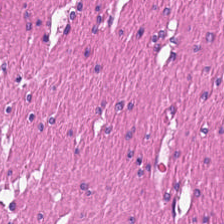Hematoxylin-and-eosin stained section · brightfield. This field is smooth-muscle tissue.
